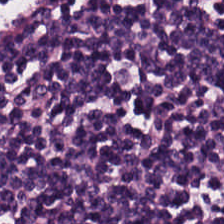Hematoxylin-and-eosin stained section. Q: What is shown here?
A: The field shows lymphocytes.
